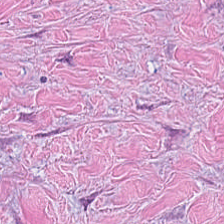FFPE; H&E-stained tissue section; brightfield — The predominant tissue is cancer-associated stroma.
